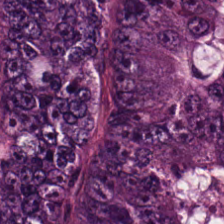The classification is malignant epithelium.
